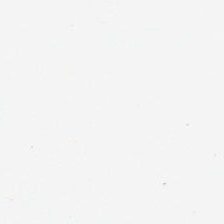Stain: hematoxylin-and-eosin stained section.
Field content: no tissue.
